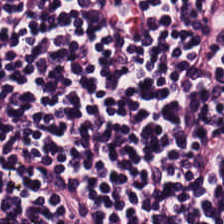Stain: H&E.
Predominant tissue: lymphoid infiltrate.
